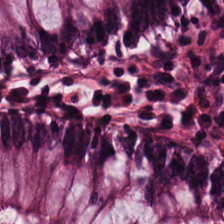Stain: hematoxylin-and-eosin stained section.
Acquisition: brightfield microscopy.
Predominant tissue: non-neoplastic colon mucosa.
